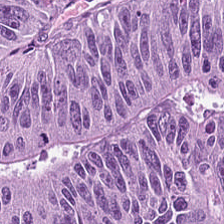Hematoxylin-and-eosin stained section. Showing malignant epithelium.
